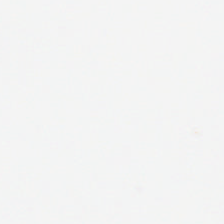H&E stain — {"content": "no tissue"}
